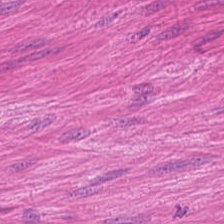Stain: hematoxylin-and-eosin stained section.
Preparation: formalin-fixed paraffin-embedded section.
Tissue: muscularis.
